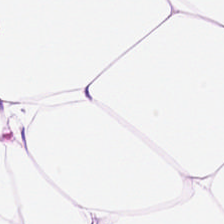Formalin-fixed paraffin-embedded section · H&E. Predominantly fat tissue.
